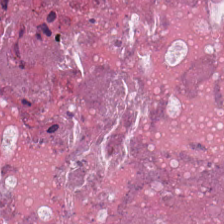H&E-stained tissue section showing debris.
